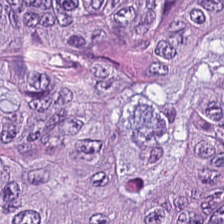Classification = tumor epithelium.
